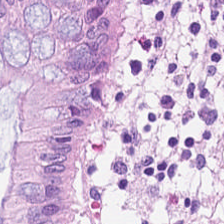H&E. Tissue type — benign colonic mucosa.
